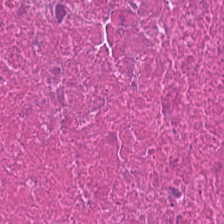H&E-stained tissue section.
Finding — cellular debris.
